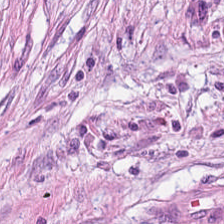H&E · FFPE · 0.5 µm per pixel — Predominantly cancer-associated stroma.
